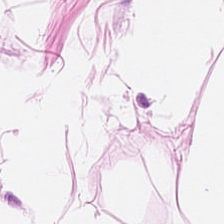H&E stain.
Tissue: adipose tissue.
